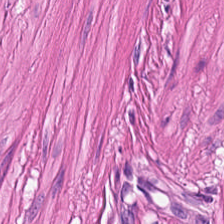Hematoxylin-and-eosin stained section. Predominant tissue — smooth-muscle tissue.
